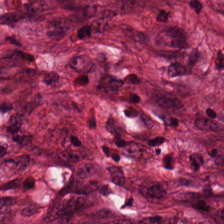The tissue here is tumor-associated stroma.
